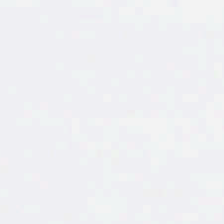H&E stain — Finding — background (no tissue).
